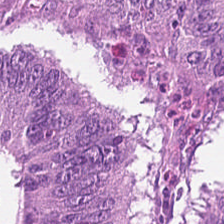H&E. 20× equivalent magnification — Histology → colorectal adenocarcinoma epithelium.
